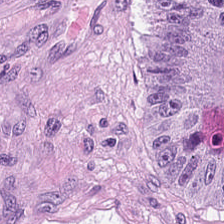H&E stain — Tissue: malignant epithelium.
